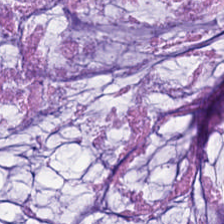H&E-stained tissue section · formalin-fixed paraffin-embedded section. Tissue = mucin.
